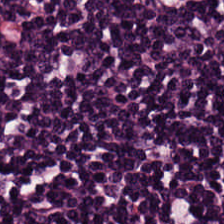Hematoxylin and eosin. Tissue class = lymphocyte aggregate.
